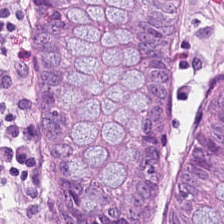Hematoxylin and eosin — Predominant tissue: normal colon mucosa.
